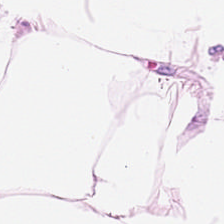Tissue class: adipose.
